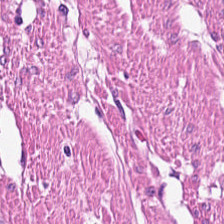H&E stain · formalin-fixed paraffin-embedded section · 0.5 µm/px. This field is smooth-muscle tissue.
